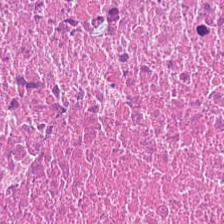Hematoxylin-and-eosin stained section — Showing cellular debris.
